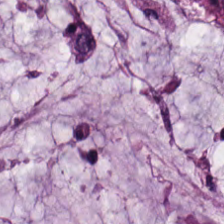Hematoxylin and eosin.
The tissue here is mucin.
